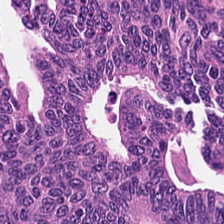224×224 px tile · whole-slide-image patch · hematoxylin and eosin.
The predominant tissue is tumor epithelium.
